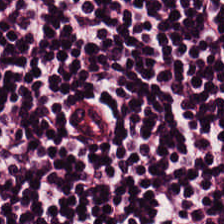The tissue here is lymphoid infiltrate.
